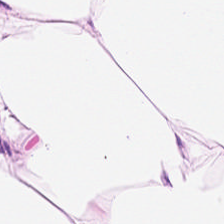The tissue type is adipocytes.
